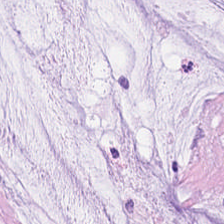FFPE tissue section · H&E stain.
The tissue here is mucus.
